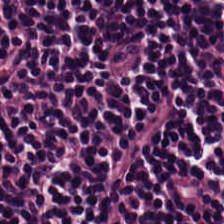This patch shows lymphocytic infiltrate.
